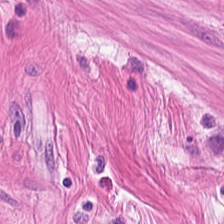H&E · FFPE.
Tissue — muscularis.
